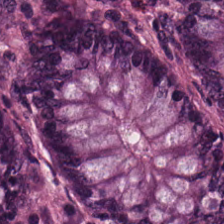Hematoxylin and eosin.
Q: What type of tissue is this?
A: The field shows normal colonic mucosa.
